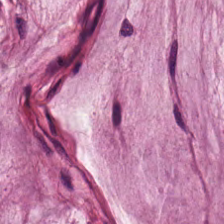H&E stain. Whole-slide-image patch. FFPE.
Predominantly mucin.
